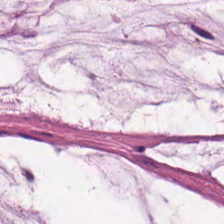H&E — Tissue type — mucus.
